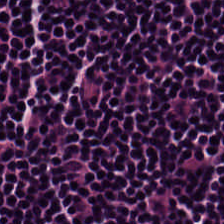Hematoxylin-and-eosin stained section. Impression → lymphocyte aggregate.
